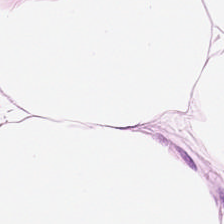WSI patch. H&E stain. 224×224 pixel tile. Predominantly fat tissue.
